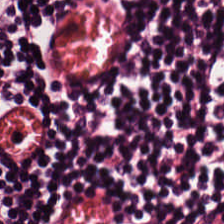H&E patch showing lymphoid infiltrate.
